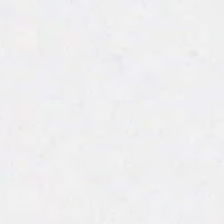Stain: hematoxylin-and-eosin stained section.
Acquisition: brightfield microscopy.
Field content: empty background.
